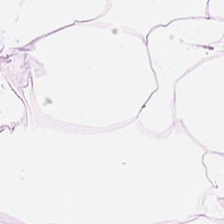Hematoxylin-and-eosin section: adipocytes.
